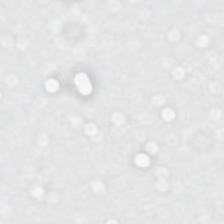Q: What does this patch show?
A: It is background (no tissue).
